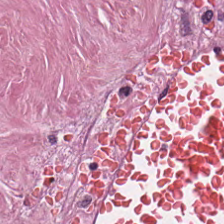Hematoxylin and eosin. This patch shows cancer-associated stroma.
